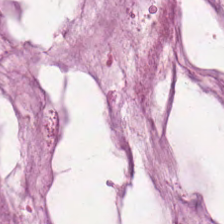H&E stain — Finding → extracellular mucin.
